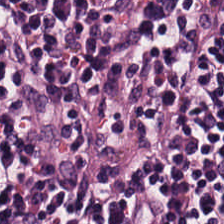H&E-stained tissue section. 224×224 pixel tile — Q: What is the predominant tissue type?
A: This is lymphocyte aggregate.
